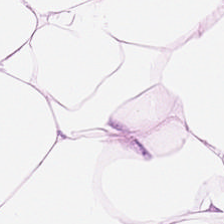H&E stain — Tissue type = adipocytes.
